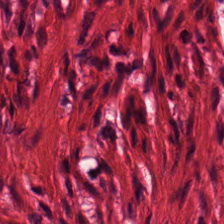H&E stain. 224×224 pixel tile — Muscularis.
